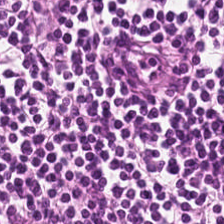Stain: H&E.
Tissue type: lymphocytic infiltrate.
